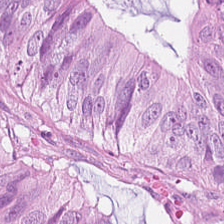0.5 µm/px · H&E stain — Predominantly colorectal adenocarcinoma epithelium.
